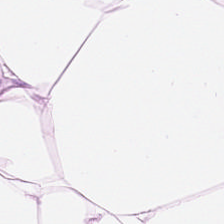Stain: H&E-stained tissue section.
Classification: adipose.
